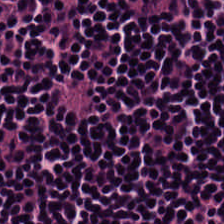Stain: H&E.
Tissue class: lymphocytic infiltrate.
